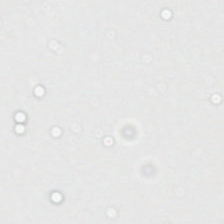H&E stain.
This field is background (no tissue).
